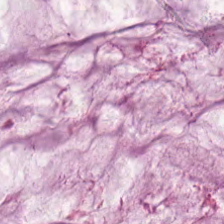The classification is mucin.
